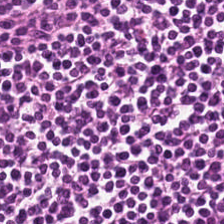H&E. Q: What tissue type is shown here?
A: Lymphoid infiltrate.
